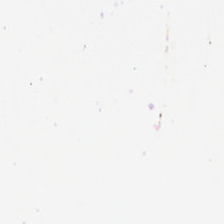Content — empty background.
